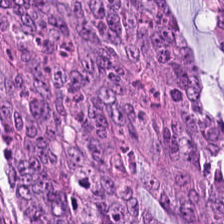Hematoxylin and eosin. Tissue class: colorectal adenocarcinoma.
